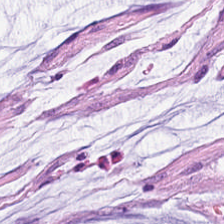H&E. Brightfield microscopy. This patch shows mucin.
